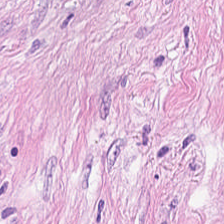Hematoxylin and eosin — The predominant tissue is tumor stroma.
